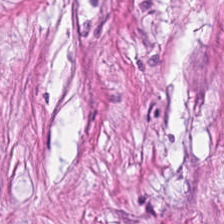Hematoxylin and eosin — Predominantly tumor stroma.
